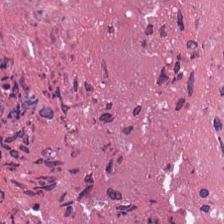Stain: hematoxylin-and-eosin stained section.
Acquisition: brightfield microscopy.
Tile size: 224×224 px patch.
Tissue: debris.
